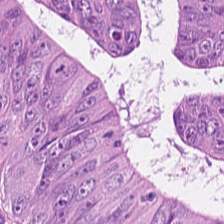H&E-stained tissue section. Formalin-fixed paraffin-embedded section. The tissue here is colorectal adenocarcinoma epithelium.
